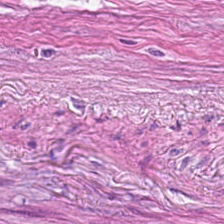Classification = cancer-associated stroma.
